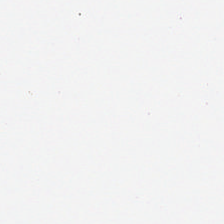The content is background.
